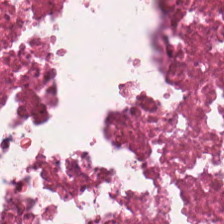This field is cellular debris.
